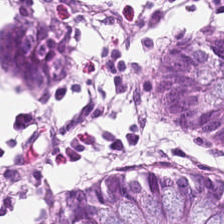Tissue class — normal colonic mucosa.
